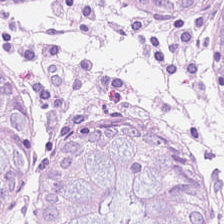The tissue is normal colon mucosa.
